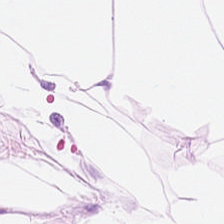H&E-stained section; the field shows adipocytes.
